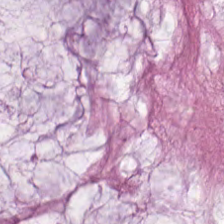WSI patch. H&E.
Q: Classify this patch.
A: Extracellular mucin.
